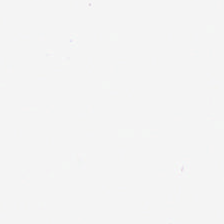FFPE · H&E-stained tissue section — Impression → background (no tissue).
